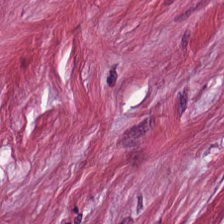224×224 pixel tile. H&E stain.
Q: What type of tissue is this?
A: Cancer-associated stroma.
